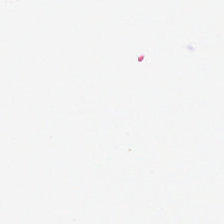Stain: H&E-stained tissue section.
Tile size: 224×224 px tile.
Resolution: 20× equivalent magnification.
Classification: background.
